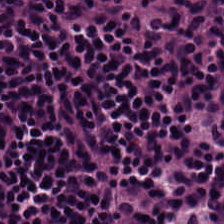Formalin-fixed paraffin-embedded section. H&E stain.
Lymphoid infiltrate.
